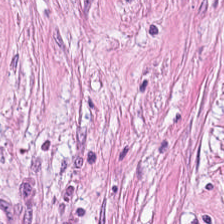H&E-stained tissue section — Tumor-associated stroma.
